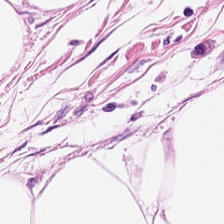Hematoxylin and eosin — Impression → fat tissue.
